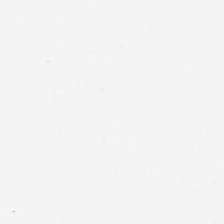Hematoxylin and eosin — Field content — no tissue.
